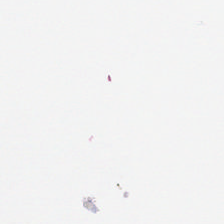224×224 px tile; H&E stain. This field is background (no tissue).
